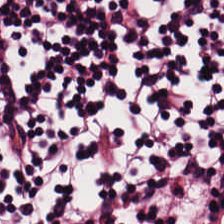H&E-stained section; the field shows lymphoid infiltrate.
